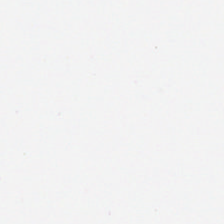Hematoxylin and eosin. 224×224 px patch. Brightfield microscopy — No tissue present; background only.
